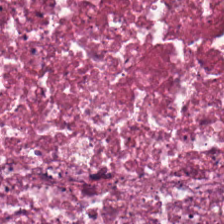0.5 microns per pixel · H&E · FFPE. Predominantly cellular debris.
